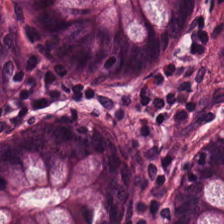Stain: H&E stain.
Resolution: 0.5 µm per pixel.
Preparation: FFPE tissue section.
Tissue class: benign colonic mucosa.
